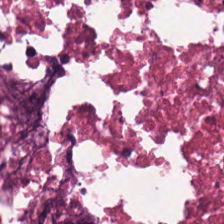Hematoxylin-and-eosin stained section — Q: What type of tissue is this?
A: The field shows debris.
